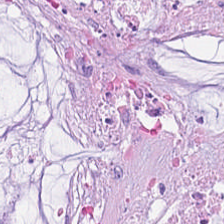224×224 px patch · H&E · brightfield — Q: What tissue type is shown here?
A: Mucin.
